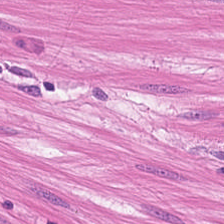H&E-stained tissue section — The predominant tissue is smooth muscle.
